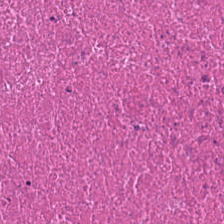H&E.
Q: What is shown in this field?
A: It is cellular debris.
